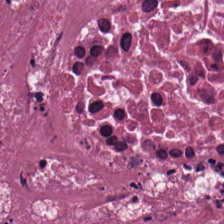Stain: H&E stain.
Preparation: FFPE tissue section.
Acquisition: whole-slide-image patch.
Classification: necrotic debris.
